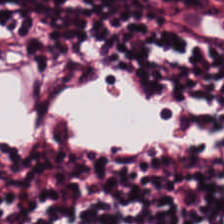Classification — lymphocytes.
